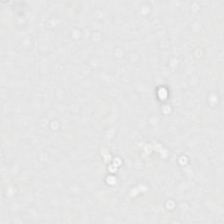Stain: hematoxylin-and-eosin stained section.
Preparation: FFPE tissue section.
Acquisition: brightfield.
Content: empty background.
